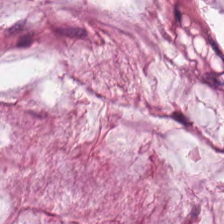224×224 px tile · 20× equivalent magnification · H&E. Histology → extracellular mucin.
